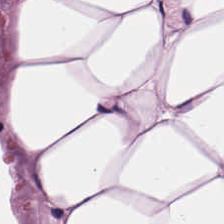WSI patch; H&E stain.
Adipose tissue.
